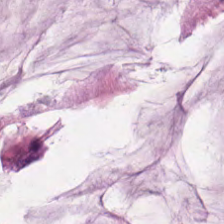WSI patch. H&E.
This field is mucin.
